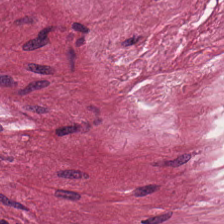Hematoxylin and eosin — Tissue class: desmoplastic stroma.
